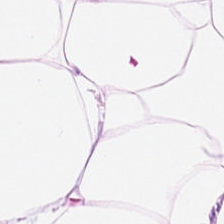H&E. 20× equivalent magnification — The predominant tissue is adipocytes.
